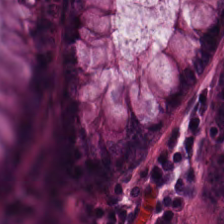0.5 µm/px; brightfield; H&E-stained tissue section.
Predominant tissue: benign colonic mucosa.
